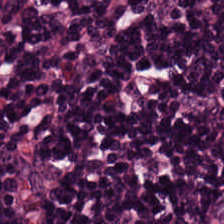FFPE tissue section; hematoxylin-and-eosin stained section; 20× equivalent magnification. The tissue here is lymphocytes.
